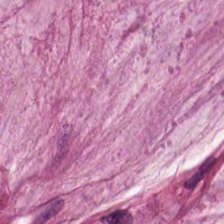Hematoxylin-and-eosin stained section. The tissue class is extracellular mucin.
